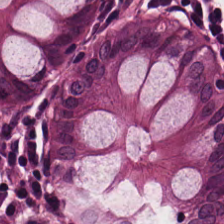H&E stain.
Finding → non-neoplastic colon mucosa.
